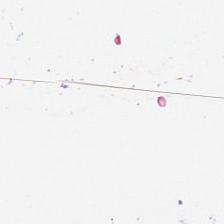H&E stain.
The classification is empty background.
